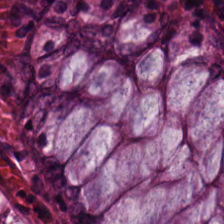Brightfield microscopy. H&E stain.
Benign colonic mucosa.
